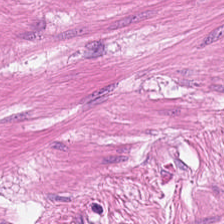H&E stain · FFPE.
Muscularis.
